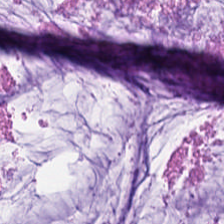224×224 px patch. Hematoxylin and eosin. Classification — extracellular mucin.
